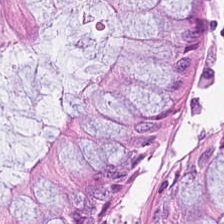FFPE tissue section · H&E-stained tissue section · whole-slide-image patch.
{"tissue_type": "normal colonic mucosa"}
